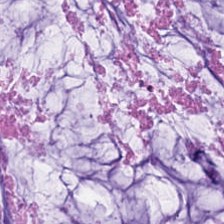Hematoxylin-and-eosin section: extracellular mucin.
